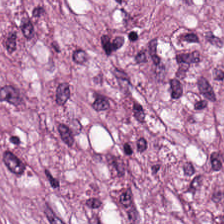Stain: H&E stain.
Acquisition: whole-slide-image patch.
Tissue class: desmoplastic stroma.
